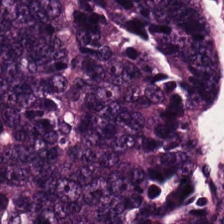0.5 microns per pixel · H&E · FFPE tissue section. Tumor epithelium.
